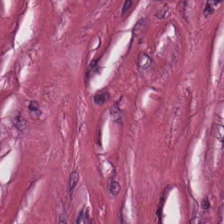20× equivalent magnification; H&E stain; 224×224 pixel tile. The tissue here is tumor-associated stroma.
